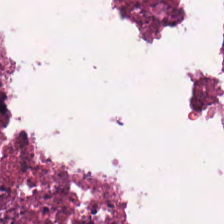H&E. Impression → necrotic debris.
